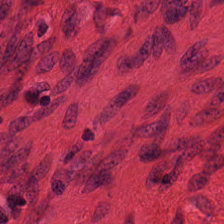Hematoxylin-and-eosin stained section.
The classification is smooth muscle.
